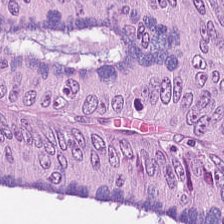WSI patch; 224×224 px patch; hematoxylin-and-eosin stained section. Q: What tissue is shown?
A: This is colorectal adenocarcinoma epithelium.
